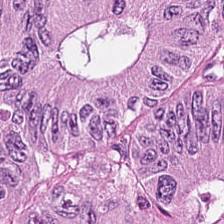224×224 pixel tile · hematoxylin and eosin.
The tissue here is colorectal adenocarcinoma epithelium.
